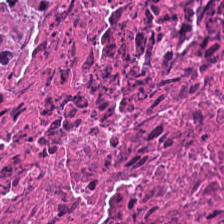H&E-stained tissue section — The tissue class is debris.
